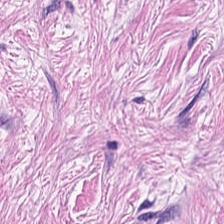Hematoxylin-and-eosin stained section. 20× equivalent magnification — Q: What type of tissue is this?
A: The field shows tumor stroma.
